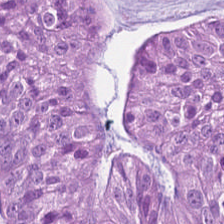Hematoxylin-and-eosin stained section. 0.5 µm per pixel. 224×224 px patch. Tissue type: tumor epithelium.
